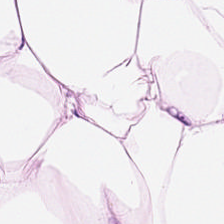H&E stain; FFPE; 0.5 microns per pixel — The predominant tissue is adipose.
